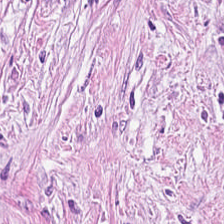WSI patch · 224×224 pixel tile · H&E-stained tissue section. Finding — desmoplastic stroma.
